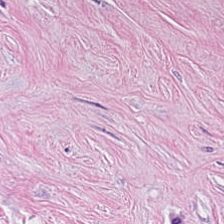Brightfield microscopy. Hematoxylin and eosin. Q: What tissue type is shown here?
A: Cancer-associated stroma.
